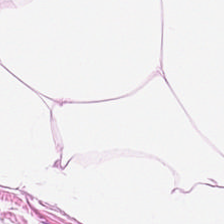H&E-stained tissue section · FFPE — Predominantly adipose tissue.
